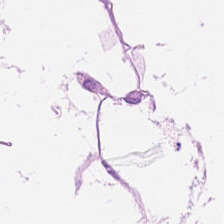Hematoxylin and eosin · FFPE. Histology — adipocytes.
